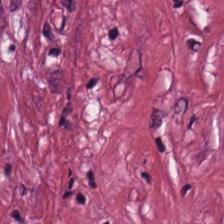H&E-stained tissue section · formalin-fixed paraffin-embedded section. {"tissue_type": "tumor stroma"}
